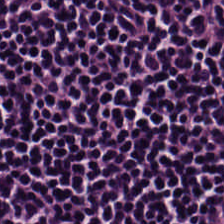Hematoxylin and eosin — {"tissue_type": "lymphocytes"}
